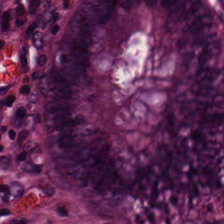Q: What is the predominant tissue type?
A: The field shows benign colonic mucosa.
